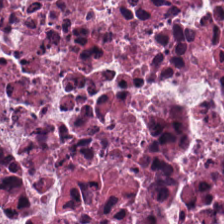H&E stain.
Debris.
